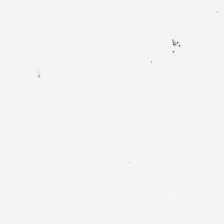Q: What does this patch show?
A: No tissue.
